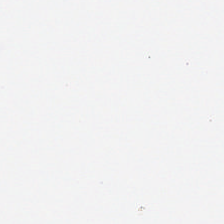H&E. Empty field — background.
